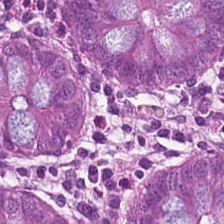Tissue class — non-neoplastic colon mucosa.
